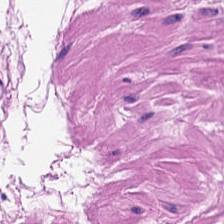Hematoxylin and eosin — This field is smooth muscle.
